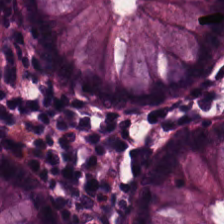Tissue class: normal colonic mucosa.
